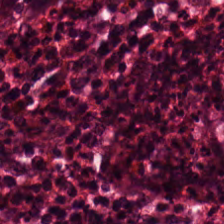H&E stain. Benign colonic mucosa.
